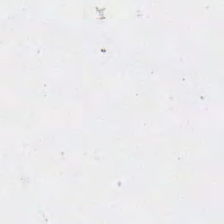H&E-stained tissue section — The content is background.
